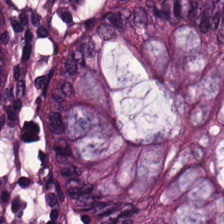H&E-stained tissue section — Predominant tissue = benign colonic mucosa.
